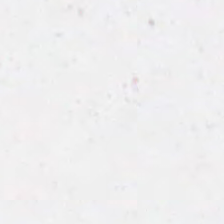H&E stain. This field is background (no tissue).
